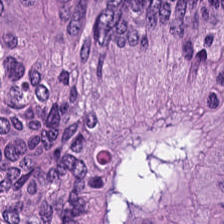H&E stain · 0.5 microns per pixel · WSI patch — Q: What is shown here?
A: The field shows adenocarcinoma.
